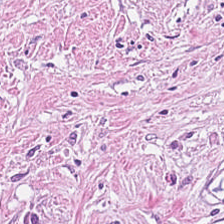H&E-stained tissue section — Q: Classify this patch.
A: The field shows tumor stroma.
